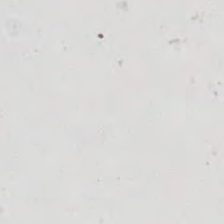The field content is background (no tissue).
